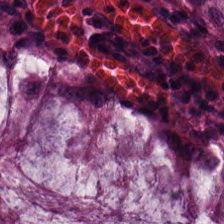H&E. This patch shows normal colonic mucosa.
